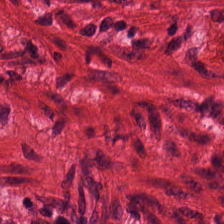0.5 microns per pixel; H&E. Impression — smooth-muscle tissue.
